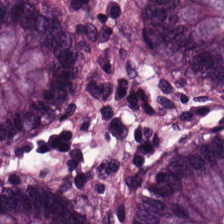Classification — benign colonic mucosa.
